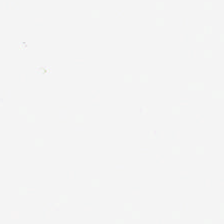H&E. Empty field — no tissue.
